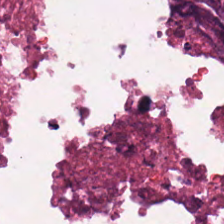Hematoxylin-and-eosin stained section — The tissue here is cellular debris.
